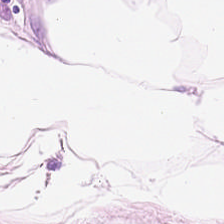Hematoxylin-and-eosin stained section. Q: Classify this patch.
A: Adipose.
